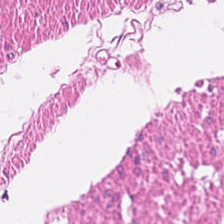H&E-stained tissue section — The predominant tissue is muscularis.
